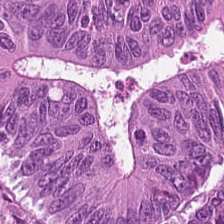H&E stain.
The tissue is colorectal adenocarcinoma epithelium.
